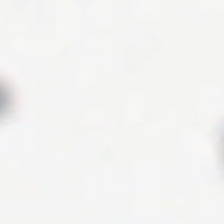H&E-stained tissue section; 224×224 px tile. Histology — no tissue.
